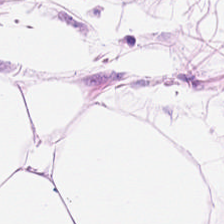H&E. Tissue: fat tissue.
